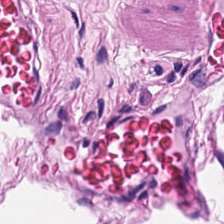H&E. Smooth-muscle tissue.
